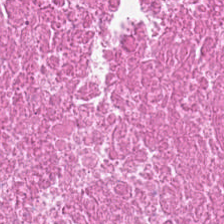Hematoxylin-and-eosin stained section. The predominant tissue is necrotic debris.
